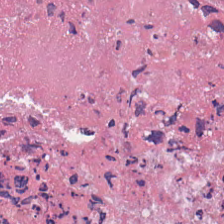H&E-stained tissue section.
Q: What is the predominant tissue type?
A: It is cellular debris.
